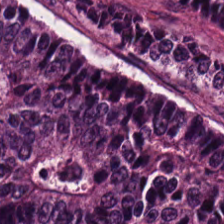H&E — {"tissue_type": "colorectal adenocarcinoma"}
